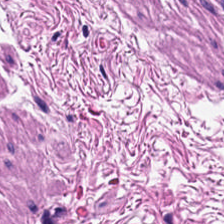Showing smooth-muscle tissue.
